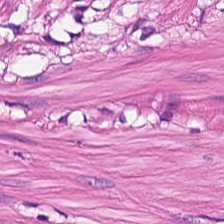Hematoxylin and eosin · 0.5 µm per pixel.
Tissue class: smooth-muscle tissue.
